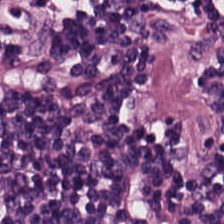Finding → lymphocytic infiltrate.
